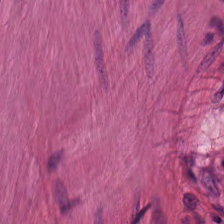H&E. Q: Classify this patch.
A: Smooth-muscle tissue.
